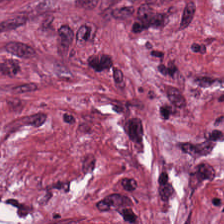Hematoxylin-and-eosin stained section; 20× equivalent magnification.
Tissue type: desmoplastic stroma.
